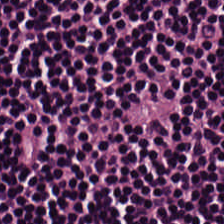Brightfield. 20× equivalent magnification. H&E stain.
Q: Classify this patch.
A: This is lymphocyte aggregate.
